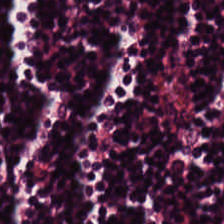H&E-stained tissue section — Q: What type of tissue is this?
A: This is lymphocyte aggregate.
